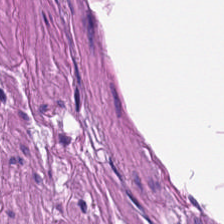224×224 px patch; hematoxylin and eosin — Impression — muscularis.
